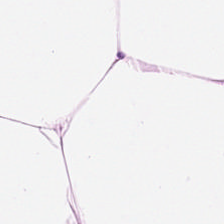The predominant tissue is adipose.
